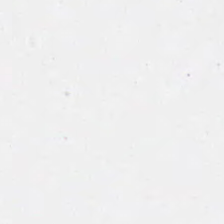H&E stain.
Background — no tissue in this field.
